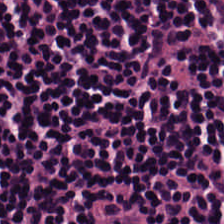FFPE tissue section. H&E stain. Impression → lymphocyte aggregate.
